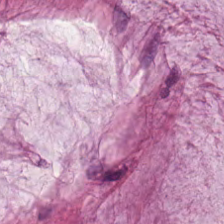0.5 µm/px · hematoxylin-and-eosin stained section. Q: What tissue type is shown here?
A: This is mucin.
